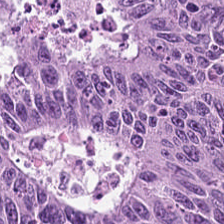FFPE tissue section · whole-slide-image patch · H&E stain — Q: What is the predominant tissue type?
A: The field shows malignant epithelium.
